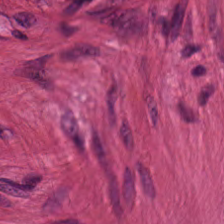H&E-stained tissue section; 224×224 px patch. Finding → muscularis.
